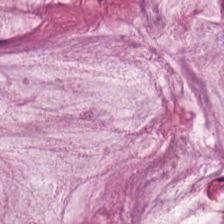224×224 pixel tile; hematoxylin and eosin; formalin-fixed paraffin-embedded section.
The classification is extracellular mucin.
